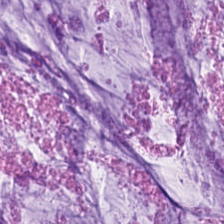H&E. Predominantly mucin.
